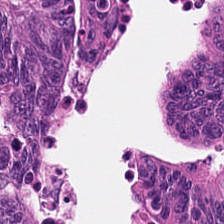H&E-stained tissue section.
Q: Identify the tissue.
A: The field shows colorectal adenocarcinoma epithelium.
